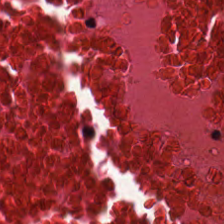H&E stain. Cellular debris.
